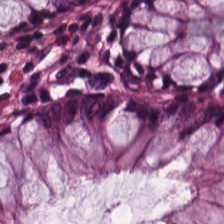H&E stain. FFPE tissue section. The tissue here is benign colonic mucosa.
